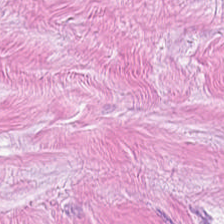H&E; brightfield. Tissue class = tumor stroma.
